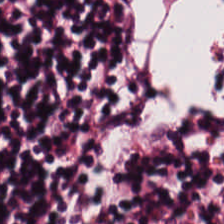H&E-stained tissue section · formalin-fixed paraffin-embedded section — The predominant tissue is lymphocytes.
